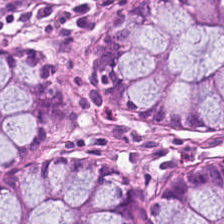H&E stain · FFPE · 20× equivalent magnification.
Q: What does this patch show?
A: The field shows non-neoplastic colon mucosa.
